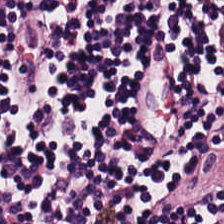H&E-stained tissue section. The tissue here is lymphocytes.
